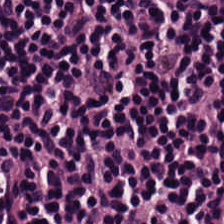Hematoxylin-and-eosin stained section; 224×224 px patch. Classification = lymphocytes.
